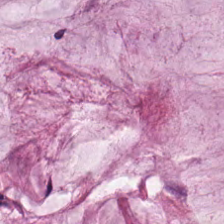Hematoxylin-and-eosin stained section.
Finding — mucin.
